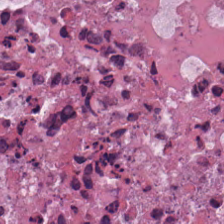H&E-stained tissue section; 0.5 µm per pixel. Showing cellular debris.
